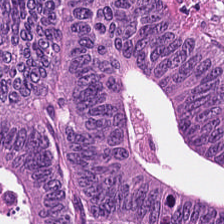Stain: H&E stain.
Tissue type: tumor epithelium.
